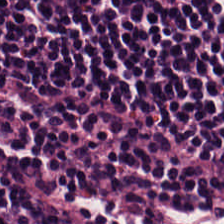0.5 µm per pixel · hematoxylin and eosin.
{"tissue_type": "lymphocytes"}
